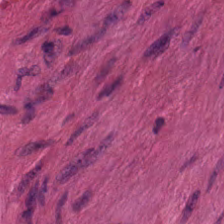Stain: H&E stain.
Resolution: 0.5 µm per pixel.
Tissue type: muscularis.
